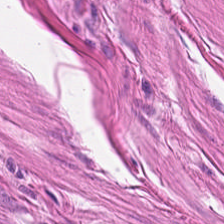Brightfield. Hematoxylin and eosin. The tissue here is smooth muscle.
